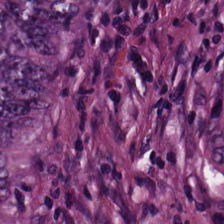224×224 pixel tile. H&E stain. 20× equivalent magnification. Finding — adenocarcinoma.
